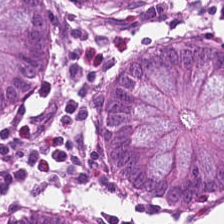Stain: hematoxylin-and-eosin stained section.
Tissue: non-neoplastic colon mucosa.
